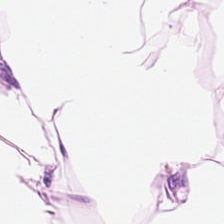Hematoxylin-and-eosin stained section — Classification: adipose.
